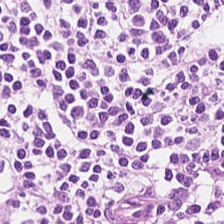224×224 px patch; H&E stain. This field is lymphocytic infiltrate.
